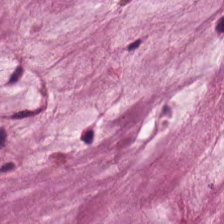H&E-stained tissue section. Histology — mucin.
